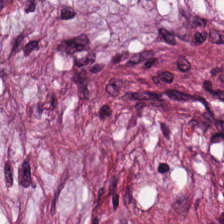Stain: hematoxylin and eosin.
Acquisition: WSI patch.
Tissue type: desmoplastic stroma.
